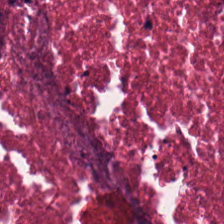20× equivalent magnification. H&E stain. Predominant tissue = necrotic debris.
